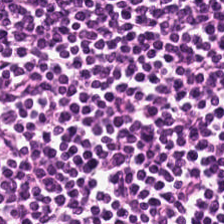0.5 µm per pixel; hematoxylin-and-eosin stained section.
This field is lymphocytes.
